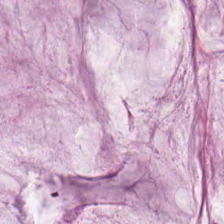Hematoxylin and eosin.
Classification: mucus.
